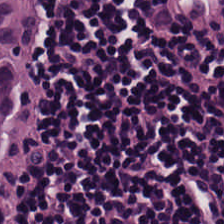Hematoxylin-and-eosin stained section · FFPE · 0.5 µm/px. Showing lymphocyte aggregate.
